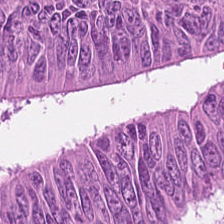H&E stain — Q: What tissue is shown?
A: This is colorectal adenocarcinoma.
